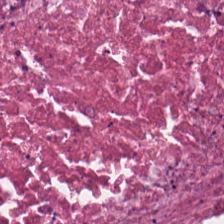H&E. {"tissue_type": "cellular debris"}
